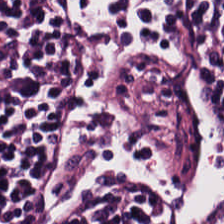Stain: H&E.
Classification: lymphoid infiltrate.
